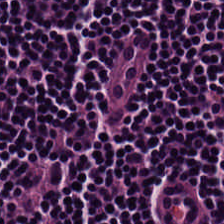This field is lymphocytes.
